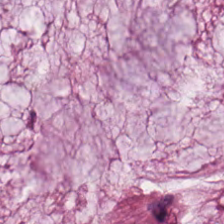Predominantly extracellular mucin.
